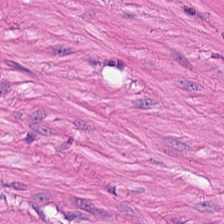224×224 px patch. H&E. FFPE.
Classification = smooth muscle.
